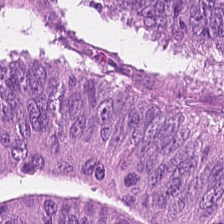H&E. 0.5 µm per pixel. Impression → adenocarcinoma.
